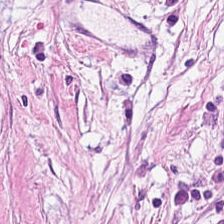This patch shows tumor-associated stroma.
